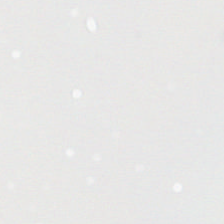Stain: H&E stain.
Content: background.
